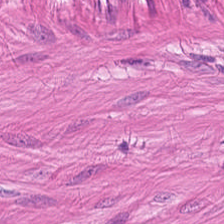Formalin-fixed paraffin-embedded section · WSI patch · H&E-stained tissue section — The tissue type is smooth muscle.
